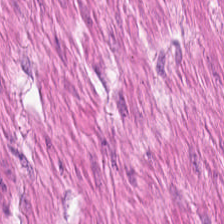20× equivalent magnification; H&E stain.
Q: What is shown here?
A: The field shows smooth muscle.
